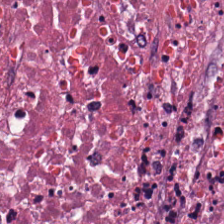The tissue class is necrotic debris.
